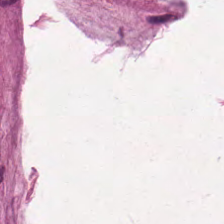Hematoxylin-and-eosin stained section · brightfield microscopy · FFPE tissue section. The tissue class is mucus.
